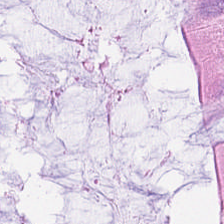H&E-stained tissue section; formalin-fixed paraffin-embedded section; 20× equivalent magnification.
Q: What tissue is shown?
A: Non-neoplastic colon mucosa.
